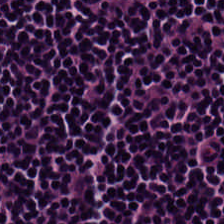FFPE. H&E-stained tissue section. Q: What type of tissue is this?
A: The field shows lymphoid infiltrate.
